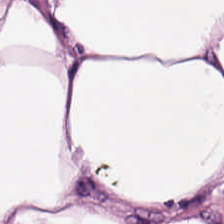Brightfield · 224×224 px tile · H&E — Predominantly adipose.
